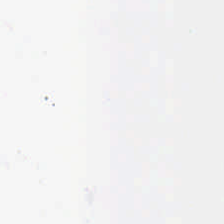0.5 µm per pixel · hematoxylin and eosin. Background (no tissue).
